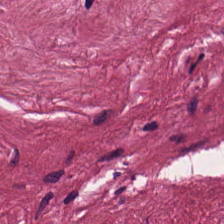Q: What is shown in this field?
A: Desmoplastic stroma.
